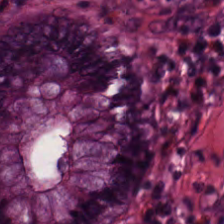Stain: H&E.
Tile size: 224×224 pixel tile.
Predominant tissue: benign colonic mucosa.
